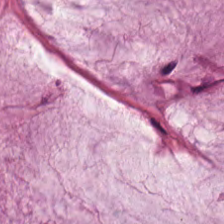Impression — extracellular mucin.
